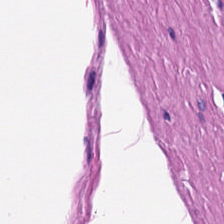H&E — The tissue type is smooth-muscle tissue.
